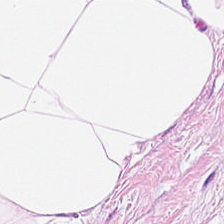This patch shows adipose tissue.
